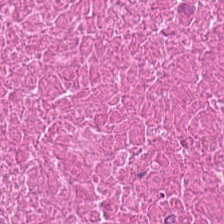H&E-stained tissue section.
Tissue type = cellular debris.
